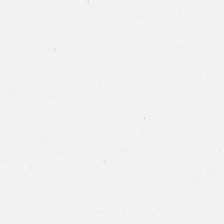This field is background (no tissue).
